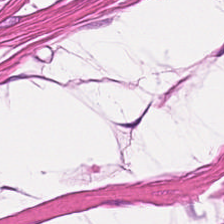H&E stain; whole-slide-image patch; 20× equivalent magnification. Tissue type = smooth muscle.
